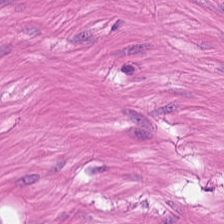H&E stain. 0.5 µm/px. 224×224 px patch.
Q: What is the predominant tissue type?
A: This is smooth-muscle tissue.
